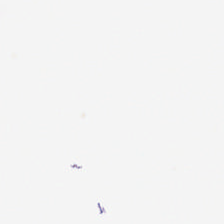Hematoxylin-and-eosin stained section · brightfield microscopy — The content is background.
